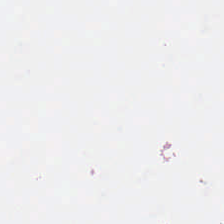H&E-stained tissue section · formalin-fixed paraffin-embedded section.
Q: What does this patch show?
A: Background (no tissue).
